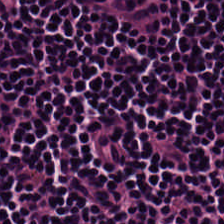Hematoxylin and eosin. Finding → lymphocytic infiltrate.
